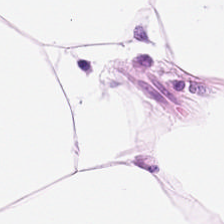H&E stain — Q: What type of tissue is this?
A: It is adipose tissue.
